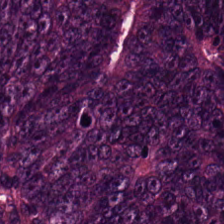H&E-stained section; the field shows adenocarcinoma.
